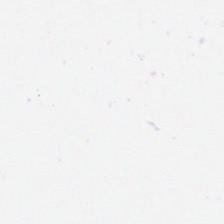No tissue present; background only.
